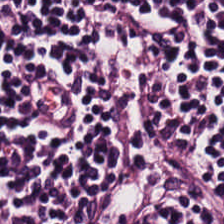Stain: hematoxylin-and-eosin stained section.
Classification: lymphocytes.
